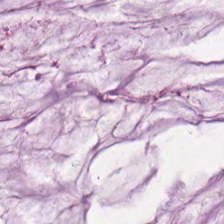Stain: H&E.
Acquisition: brightfield microscopy.
Tissue type: mucus.
